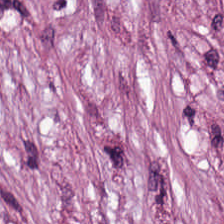224×224 px patch · hematoxylin-and-eosin stained section — Tumor-associated stroma.
